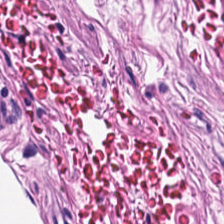H&E stain — The tissue here is smooth muscle.
